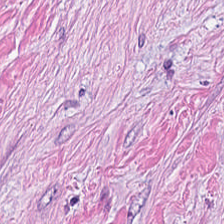Hematoxylin-and-eosin stained section.
Showing desmoplastic stroma.
